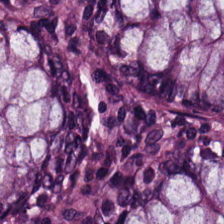Hematoxylin-and-eosin stained section — The predominant tissue is normal colonic mucosa.
